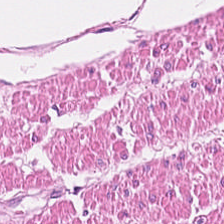Hematoxylin-and-eosin stained section.
Q: Identify the tissue.
A: The field shows muscularis.
